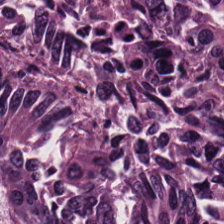The tissue here is colorectal adenocarcinoma.
